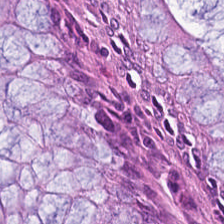FFPE tissue section · hematoxylin-and-eosin stained section. Showing non-neoplastic colon mucosa.
